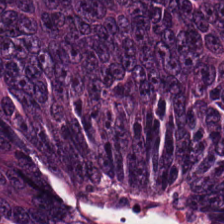Hematoxylin-and-eosin stained section. The tissue is colorectal adenocarcinoma.
